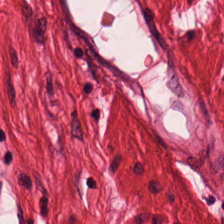H&E stain · brightfield. Showing muscularis.
